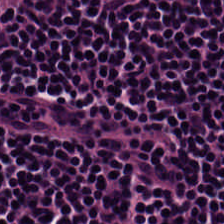Q: What tissue type is shown here?
A: It is lymphocytic infiltrate.
